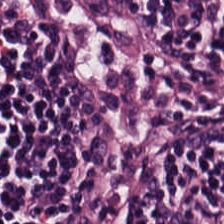This patch shows lymphocyte aggregate.
